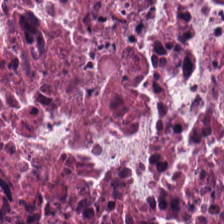H&E. 20× equivalent magnification. Finding — cellular debris.
